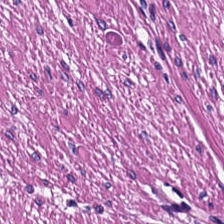H&E stain. 224×224 px tile. Showing smooth-muscle tissue.
